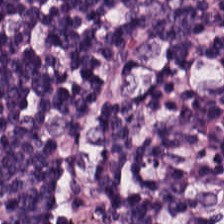Hematoxylin-and-eosin stained section · 20× equivalent magnification · 224×224 pixel tile — Histology — lymphocytes.
